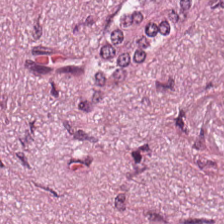FFPE tissue section; H&E — Tumor stroma.
